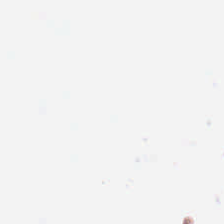224×224 px patch; whole-slide-image patch; H&E stain — Empty field — background.
